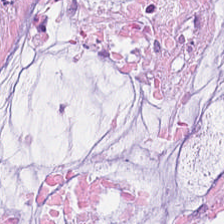Tissue type = mucus.
